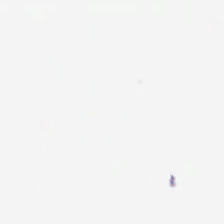Classification = empty background.
